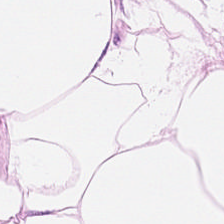Classification = fat tissue.
